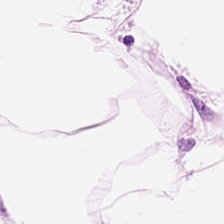H&E-stained tissue section.
Q: What is shown here?
A: It is adipocytes.
